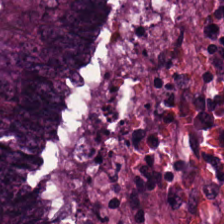224×224 px tile. H&E stain — The tissue here is colorectal adenocarcinoma epithelium.
